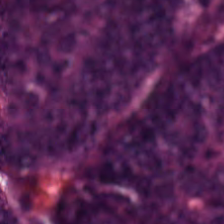Stain: H&E stain.
Classification: colorectal adenocarcinoma.
